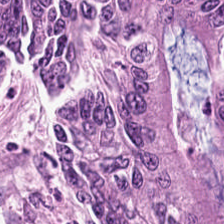WSI patch · FFPE tissue section · H&E — Q: What tissue is shown?
A: The field shows colorectal adenocarcinoma.
